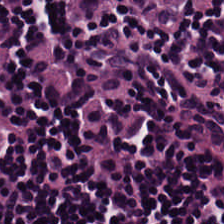H&E-stained tissue section. Classification — lymphocytes.
